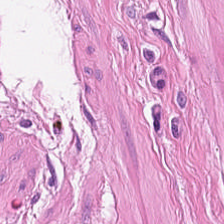0.5 µm per pixel; hematoxylin-and-eosin stained section. This field is smooth-muscle tissue.
